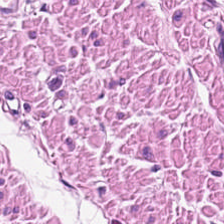H&E — This field is smooth-muscle tissue.
